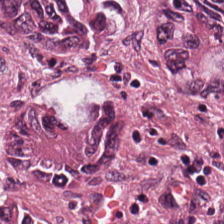Q: What type of tissue is this?
A: This is colorectal adenocarcinoma.
